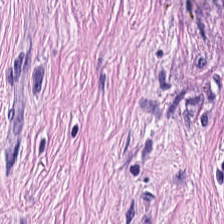H&E.
Predominantly tumor-associated stroma.
